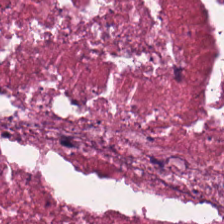The tissue here is debris.
